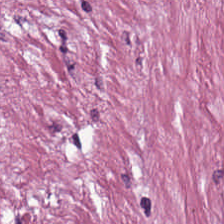H&E — tumor-associated stroma.
